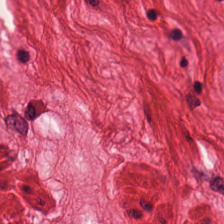Impression → smooth-muscle tissue.
